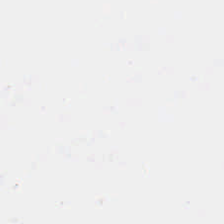H&E-stained tissue section. Q: Classify this patch.
A: It is background.
